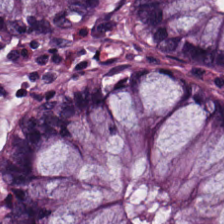Hematoxylin and eosin.
Q: What is shown here?
A: The field shows benign colonic mucosa.
